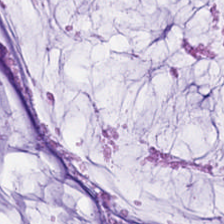Stain: H&E-stained tissue section.
Tissue type: mucus.
